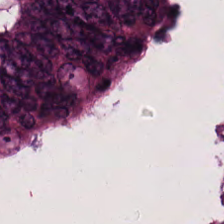Stain: H&E.
Classification: colorectal adenocarcinoma.
